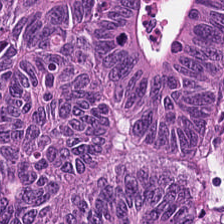H&E stain. The predominant tissue is malignant epithelium.
